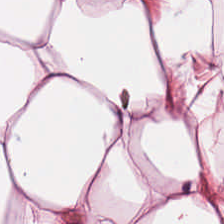Tissue — adipocytes.
